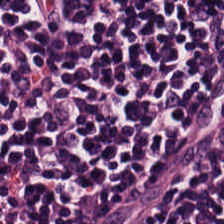H&E stain.
Predominant tissue: lymphocytic infiltrate.
